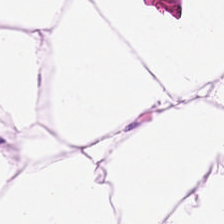H&E patch showing adipose tissue.
